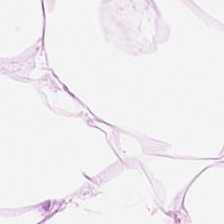H&E-stained tissue section — Tissue type — fat tissue.
